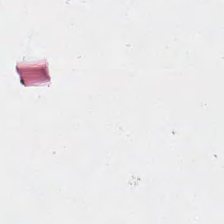Hematoxylin and eosin · FFPE tissue section. This field is background (no tissue).
